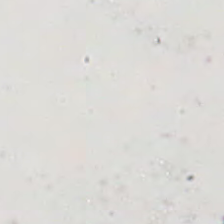H&E stain · brightfield microscopy. Finding — empty background.
